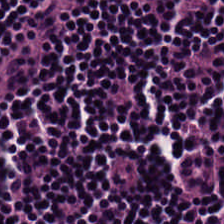FFPE tissue section. H&E stain. The tissue here is lymphocytes.
